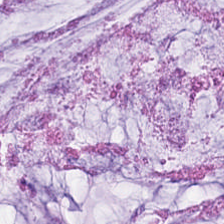Hematoxylin and eosin. The tissue here is mucus.
